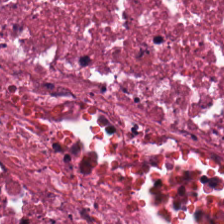H&E-stained tissue section — Tissue class — necrotic debris.
